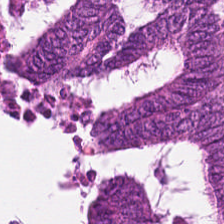0.5 µm per pixel. 224×224 pixel tile. Hematoxylin-and-eosin stained section.
Tissue type: tumor epithelium.
